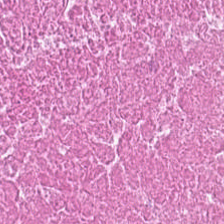H&E stain. This patch shows cellular debris.
